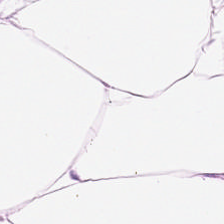Tissue class — adipose tissue.
